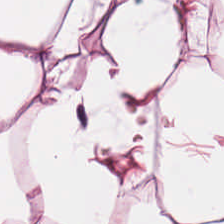Predominant tissue = fat tissue.
